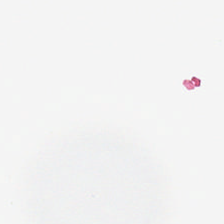Stain: H&E-stained tissue section.
Classification: background (no tissue).
